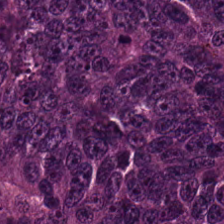{"tissue_type": "colorectal adenocarcinoma epithelium"}
